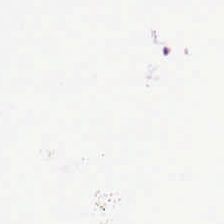0.5 µm/px · 224×224 px tile · hematoxylin and eosin.
Q: What does this patch show?
A: The field shows empty background.
